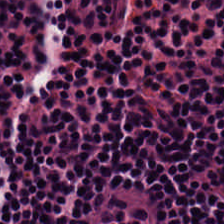Classification — lymphocytes.
